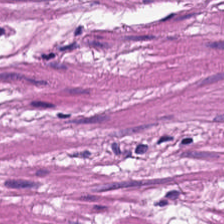Hematoxylin-and-eosin stained section · FFPE — Classification — muscularis.
